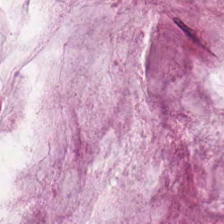Stain: hematoxylin and eosin.
Classification: mucus.
